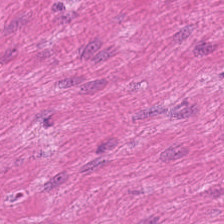FFPE · hematoxylin-and-eosin stained section · 0.5 µm/px. Predominantly muscularis.
